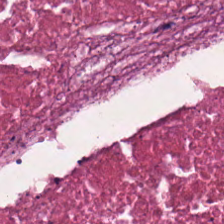H&E-stained tissue section · formalin-fixed paraffin-embedded section · brightfield microscopy. Q: What tissue is shown?
A: It is debris.
